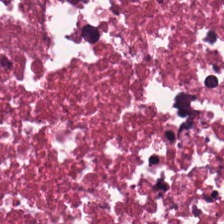Finding — necrotic debris.
